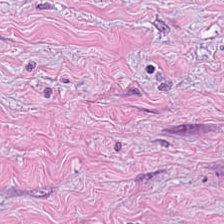H&E stain.
The classification is cancer-associated stroma.
